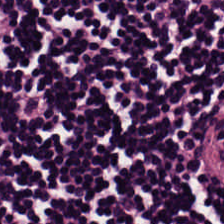Hematoxylin-and-eosin stained section — Tissue — lymphocytes.
